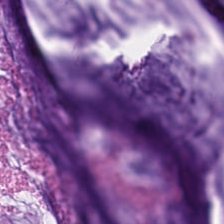FFPE tissue section; hematoxylin-and-eosin stained section; 224×224 px patch.
Showing extracellular mucin.
